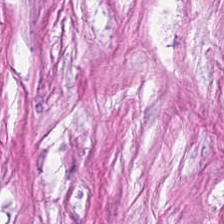H&E — Tissue — tumor-associated stroma.
